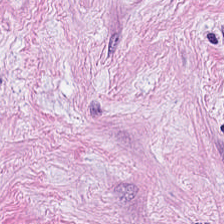Tissue type = desmoplastic stroma.
